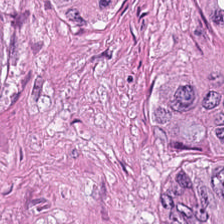H&E — Colorectal adenocarcinoma.
